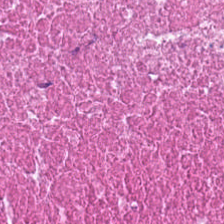Tissue class: cellular debris.
